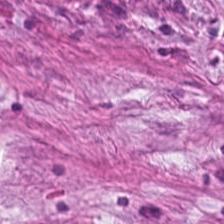224×224 px tile; H&E stain — {"tissue_type": "desmoplastic stroma"}
